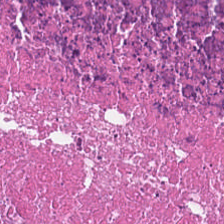FFPE tissue section · H&E stain — This patch shows cellular debris.
